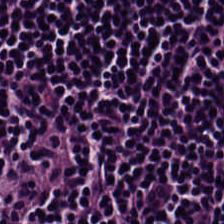Hematoxylin-and-eosin stained section — Histology — lymphoid infiltrate.
